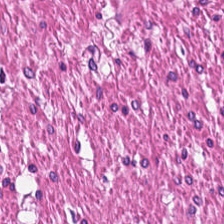Predominantly smooth muscle.
